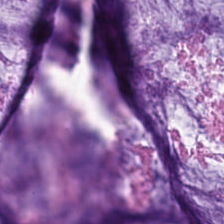{"tissue_type": "mucus"}
